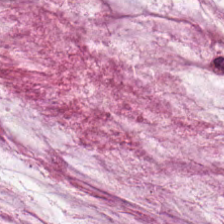H&E. 224×224 px tile. Brightfield microscopy. This field is mucin.
